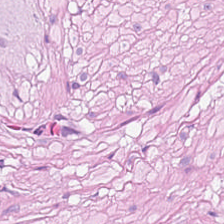H&E-stained tissue section.
Q: What tissue type is shown here?
A: The field shows muscularis.
